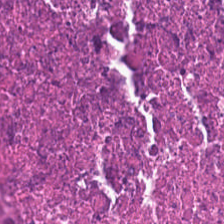Hematoxylin-and-eosin stained section; 224×224 px patch. The tissue class is cellular debris.
